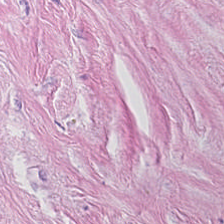Histology — tumor-associated stroma.
